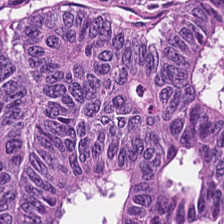H&E — Q: What is shown in this field?
A: It is adenocarcinoma.
